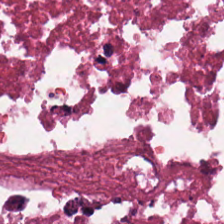Whole-slide-image patch; hematoxylin and eosin — The predominant tissue is necrotic debris.
